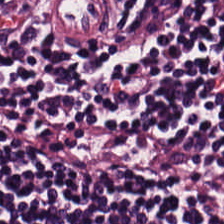0.5 microns per pixel. Whole-slide-image patch. H&E.
{"tissue_type": "lymphoid infiltrate"}
